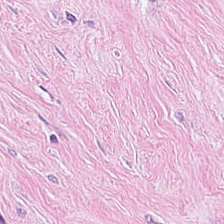H&E-stained tissue section.
Desmoplastic stroma.
